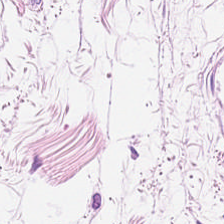H&E — Q: What is the predominant tissue type?
A: This is adipocytes.
